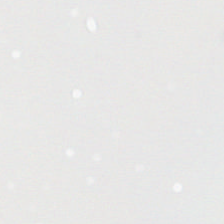Stain: H&E.
Content: empty background.
